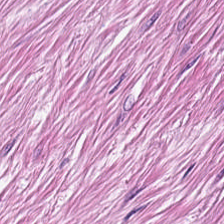Q: What does this patch show?
A: It is cancer-associated stroma.
